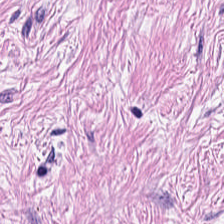Stain: H&E.
Resolution: 0.5 µm per pixel.
Tile size: 224×224 px patch.
Tissue: cancer-associated stroma.
